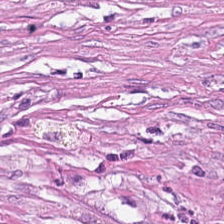Hematoxylin and eosin. This patch shows desmoplastic stroma.
